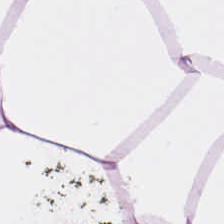H&E-stained tissue section — Predominant tissue = adipose.
